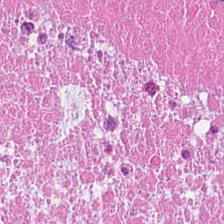Hematoxylin and eosin; 0.5 µm per pixel; 224×224 pixel tile — The tissue here is debris.
